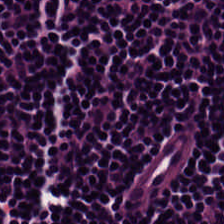H&E stain. Showing lymphocytic infiltrate.
